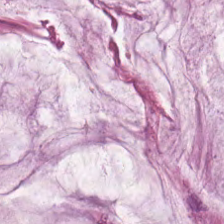H&E-stained tissue section · FFPE tissue section.
The classification is mucin.
